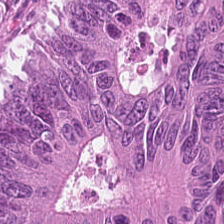Hematoxylin and eosin · 0.5 µm/px.
Predominantly colorectal adenocarcinoma epithelium.
